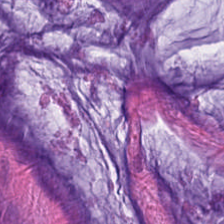Stain: hematoxylin-and-eosin stained section.
Resolution: 0.5 µm/px.
Tissue type: mucus.
